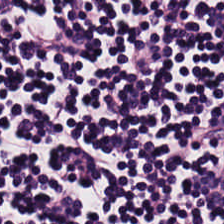Tissue: lymphocytic infiltrate.
